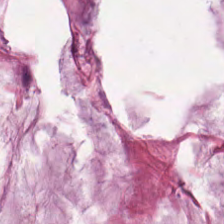H&E stain — {"tissue_type": "extracellular mucin"}
